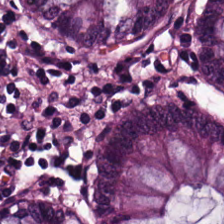H&E stain — Histology → benign colonic mucosa.
